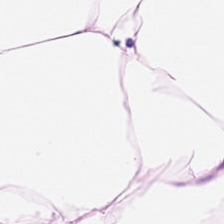Hematoxylin and eosin — Q: What is shown in this field?
A: Adipocytes.
